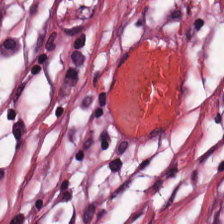Hematoxylin-and-eosin stained section.
Showing cancer-associated stroma.
